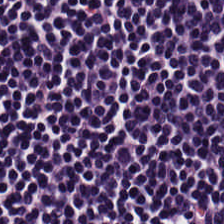224×224 pixel tile; hematoxylin-and-eosin stained section; formalin-fixed paraffin-embedded section.
Q: Classify this patch.
A: It is lymphoid infiltrate.
